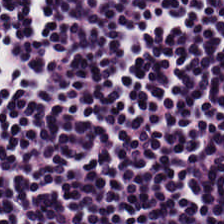H&E patch showing lymphoid infiltrate.
